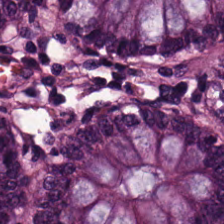Hematoxylin and eosin; whole-slide-image patch.
The predominant tissue is normal colonic mucosa.
